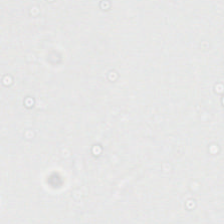H&E stain · 0.5 microns per pixel.
Content — empty background.
